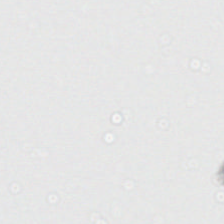Brightfield · H&E stain.
This field is background (no tissue).
